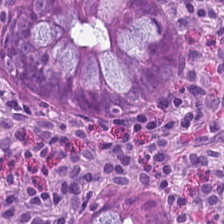Hematoxylin and eosin.
Classification = normal colon mucosa.
